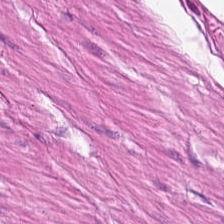224×224 px patch. H&E-stained tissue section. 0.5 µm per pixel.
{"tissue_type": "muscularis"}
